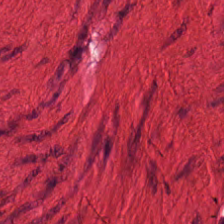H&E stain. 224×224 pixel tile — Predominant tissue — smooth-muscle tissue.
